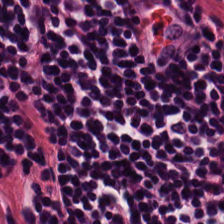Stain: hematoxylin-and-eosin stained section.
Resolution: 0.5 µm per pixel.
Tissue: lymphocytic infiltrate.
